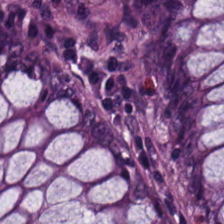Stain: hematoxylin and eosin.
Predominant tissue: normal colonic mucosa.
